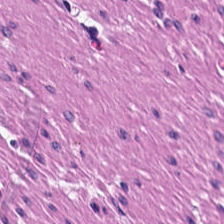H&E stain. 0.5 µm per pixel — The tissue here is muscularis.
